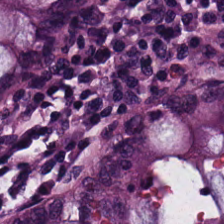Hematoxylin and eosin. Predominantly normal colonic mucosa.
